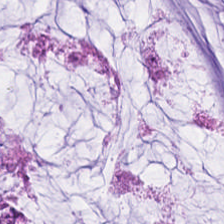Hematoxylin and eosin — Mucin.
